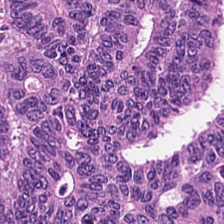Hematoxylin and eosin; WSI patch.
The predominant tissue is malignant epithelium.
